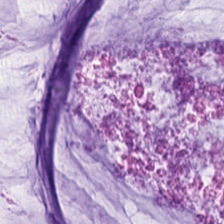{"tissue_type": "mucin"}
